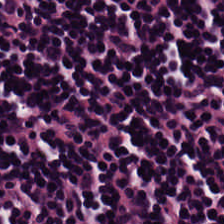Stain: hematoxylin-and-eosin stained section.
Tissue type: lymphocytic infiltrate.
